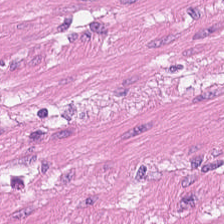Stain: H&E-stained tissue section.
Tissue type: smooth-muscle tissue.
